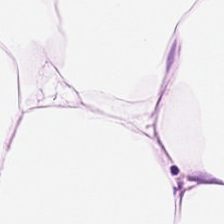Classification: adipocytes.
